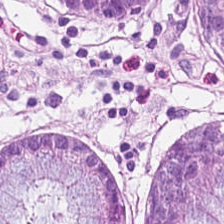H&E stain; FFPE tissue section; 224×224 pixel tile.
Histology — benign colonic mucosa.
